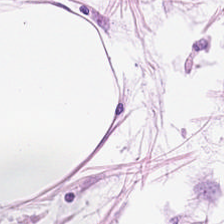0.5 µm/px. Formalin-fixed paraffin-embedded section. H&E stain.
This field is fat tissue.
